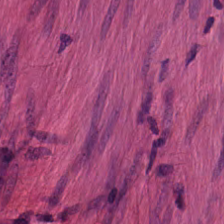H&E stain.
{"tissue_type": "smooth muscle"}
